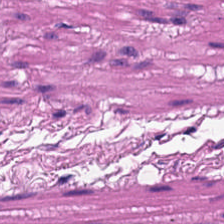H&E-stained tissue section. The tissue is smooth-muscle tissue.
